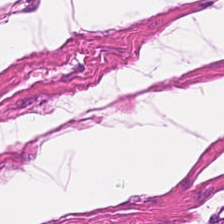H&E-stained tissue section.
Q: Identify the tissue.
A: It is smooth muscle.
